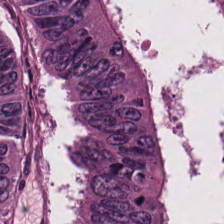Hematoxylin-and-eosin stained section — The predominant tissue is colorectal adenocarcinoma.
